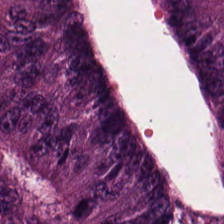H&E-stained tissue section.
Tissue — colorectal adenocarcinoma epithelium.
